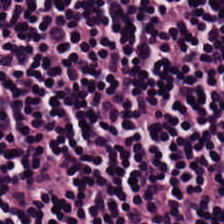Brightfield · FFPE · hematoxylin and eosin. The tissue here is lymphoid infiltrate.
